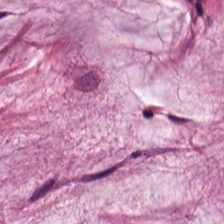H&E. {"tissue_type": "mucin"}
